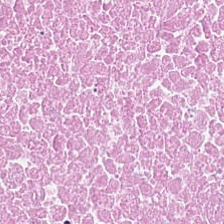H&E — Predominant tissue: necrotic debris.
